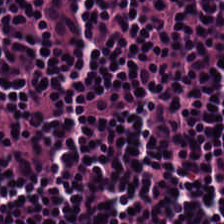H&E stain. Tissue = lymphocyte aggregate.
